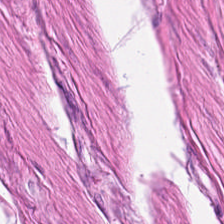Hematoxylin and eosin.
This patch shows smooth muscle.
